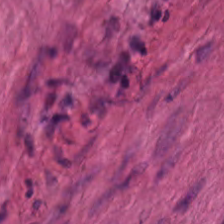Hematoxylin-and-eosin stained section — Classification = muscularis.
